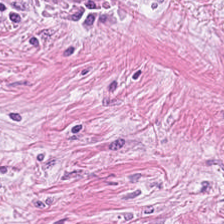H&E. Classification — desmoplastic stroma.
